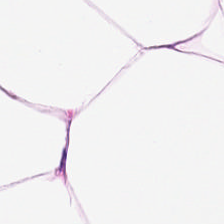Hematoxylin and eosin. This patch shows fat tissue.
